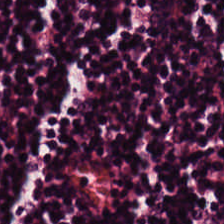H&E stain.
{"tissue_type": "lymphocytes"}
